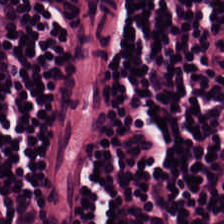H&E-stained tissue section. The predominant tissue is lymphocytic infiltrate.
